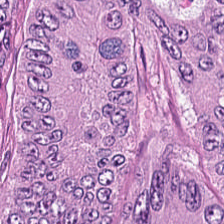Hematoxylin-and-eosin stained section.
Showing adenocarcinoma.
